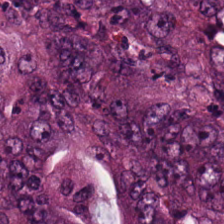H&E · 224×224 px patch — Colorectal adenocarcinoma.
